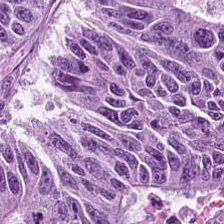Tissue — colorectal adenocarcinoma epithelium.
